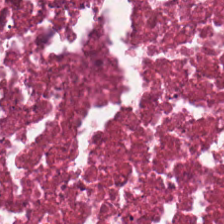Showing necrotic debris.
